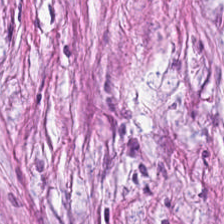Hematoxylin-and-eosin stained section; 224×224 pixel tile; whole-slide-image patch.
The predominant tissue is tumor-associated stroma.
